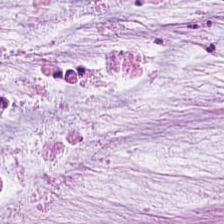H&E-stained tissue section. 224×224 px tile — Q: Classify this patch.
A: It is extracellular mucin.
